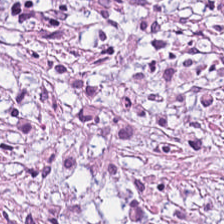H&E-stained tissue section · 224×224 pixel tile — Tissue = tumor stroma.
